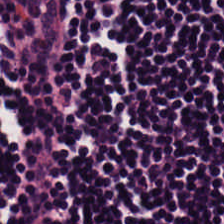Hematoxylin and eosin — Histology — lymphocyte aggregate.
